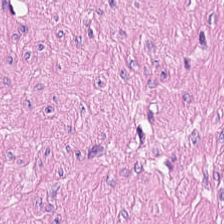Finding — muscularis.
